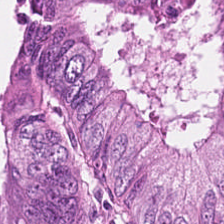Hematoxylin-and-eosin stained section · 0.5 µm per pixel. The tissue class is colorectal adenocarcinoma epithelium.
